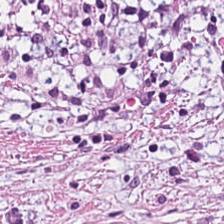Stain: H&E-stained tissue section.
Tissue type: desmoplastic stroma.
